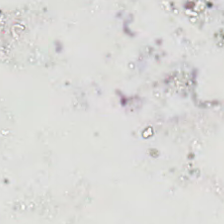Impression — background (no tissue).
